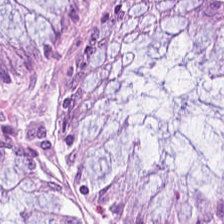H&E stain — Tissue — normal colonic mucosa.
